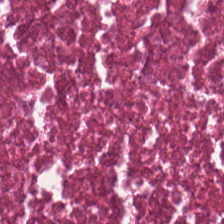224×224 pixel tile · H&E stain · FFPE tissue section.
Q: Identify the tissue.
A: This is cellular debris.
